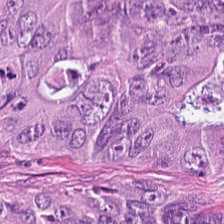Tissue class — malignant epithelium.
